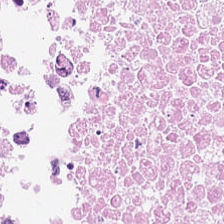H&E-stained tissue section · 0.5 µm/px — The tissue class is necrotic debris.
